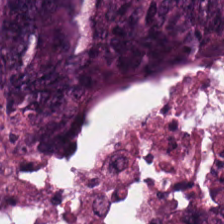H&E-stained tissue section — Tissue: malignant epithelium.
